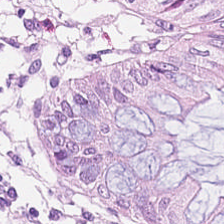Hematoxylin and eosin. This field is normal colon mucosa.
